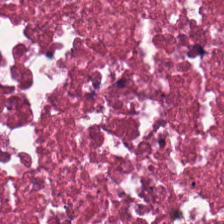H&E patch showing debris.
